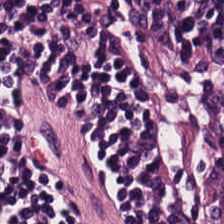Stain: hematoxylin-and-eosin stained section.
Resolution: 0.5 µm per pixel.
Classification: lymphocyte aggregate.
